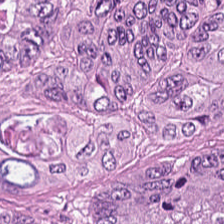H&E stain; 0.5 microns per pixel — {"tissue_type": "colorectal adenocarcinoma"}
